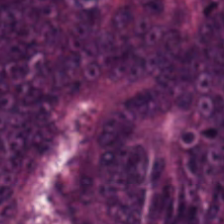H&E-stained tissue section. The predominant tissue is malignant epithelium.
